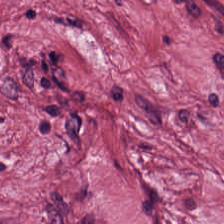H&E-stained tissue section. 224×224 px tile. Q: What is shown here?
A: This is tumor stroma.
